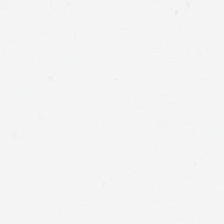224×224 px tile. H&E. Formalin-fixed paraffin-embedded section — The classification is background (no tissue).
